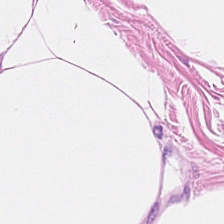Hematoxylin and eosin · FFPE tissue section · 224×224 px tile — Impression → adipose.
